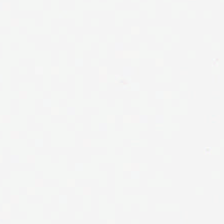H&E stain. Formalin-fixed paraffin-embedded section. This field is background (no tissue).
